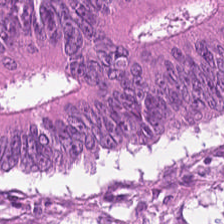Showing malignant epithelium.
